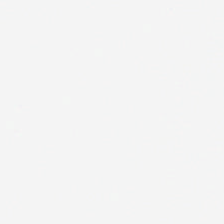Hematoxylin-and-eosin stained section · brightfield microscopy — Field content: background.
